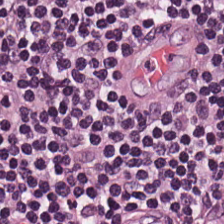H&E-stained tissue section. 0.5 microns per pixel. Formalin-fixed paraffin-embedded section.
Tissue: lymphocytes.
